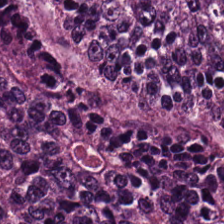Predominantly colorectal adenocarcinoma.
